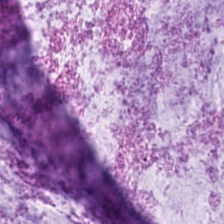Q: What does this patch show?
A: It is extracellular mucin.
